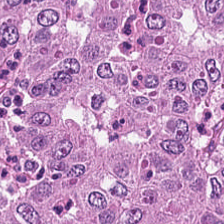Hematoxylin-and-eosin stained section — The predominant tissue is colorectal adenocarcinoma.
